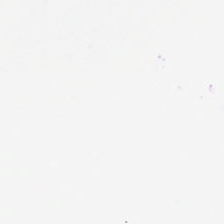H&E stain. Impression → empty background.
